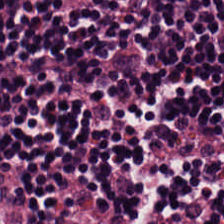Hematoxylin-and-eosin stained section.
Q: Classify this patch.
A: Lymphoid infiltrate.
